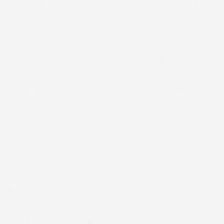Hematoxylin and eosin.
Empty field — empty background.
